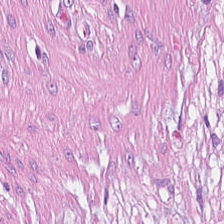Hematoxylin-and-eosin stained section — Q: Identify the tissue.
A: It is tumor-associated stroma.
